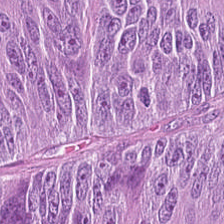Finding → colorectal adenocarcinoma epithelium.
